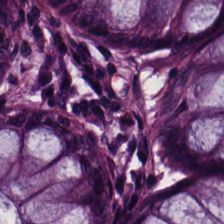This patch shows normal colonic mucosa.
